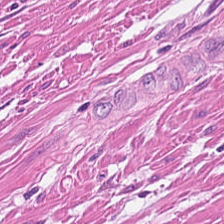H&E. The tissue here is smooth muscle.
